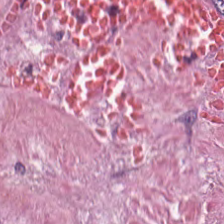Stain: H&E stain.
Tissue class: tumor-associated stroma.
